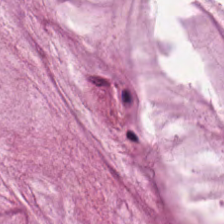Hematoxylin-and-eosin stained section — The predominant tissue is mucin.
